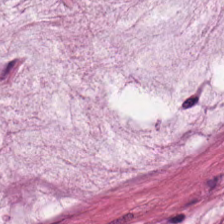H&E-stained tissue section.
The predominant tissue is mucus.
